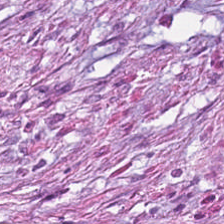H&E stain — This patch shows cancer-associated stroma.
